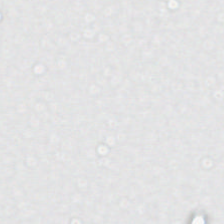Brightfield. H&E.
No tissue present; background only.
